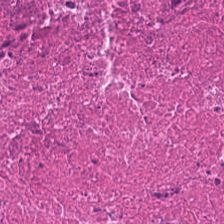The tissue is debris.
